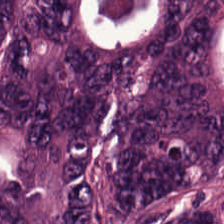FFPE tissue section. H&E stain. 20× equivalent magnification.
Q: What does this patch show?
A: It is colorectal adenocarcinoma.
